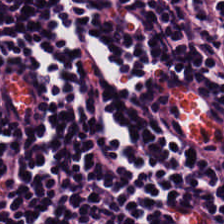H&E. The predominant tissue is lymphocytes.
